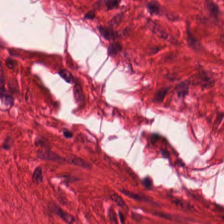H&E stain. FFPE. Brightfield microscopy. Histology — smooth-muscle tissue.
